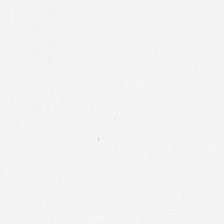0.5 µm/px · H&E stain — This patch shows empty background.
